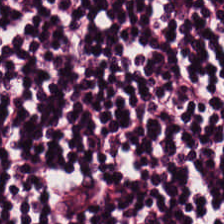Q: What tissue is shown?
A: Lymphocyte aggregate.
